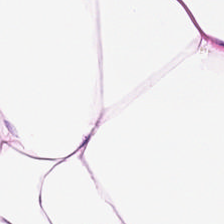Brightfield microscopy. Hematoxylin and eosin. {"tissue_type": "adipose"}
